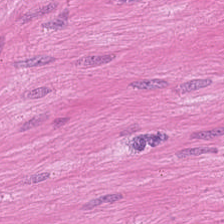H&E — smooth-muscle tissue.
